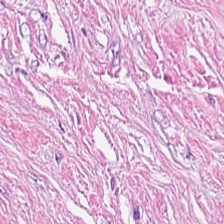Tumor stroma.
